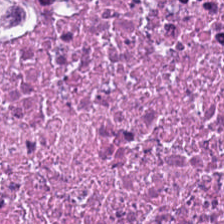Hematoxylin and eosin · 224×224 pixel tile · 20× equivalent magnification. Necrotic debris.
